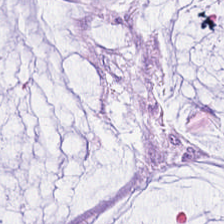H&E stain. Brightfield.
The tissue class is extracellular mucin.
